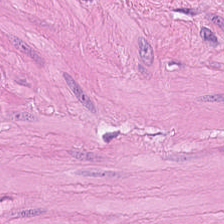H&E-stained tissue section — Q: What tissue is shown?
A: It is smooth-muscle tissue.
